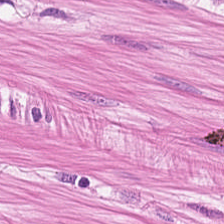{"tissue_type": "smooth-muscle tissue"}
